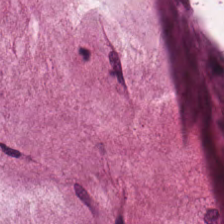H&E-stained tissue section; 224×224 pixel tile; 0.5 µm/px. Tissue class — extracellular mucin.
